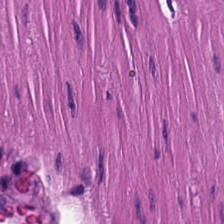Hematoxylin-and-eosin stained section — This field is smooth-muscle tissue.
